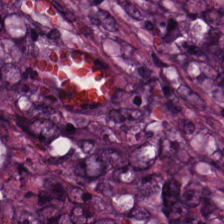FFPE tissue section · hematoxylin-and-eosin stained section — Tissue type — malignant epithelium.
